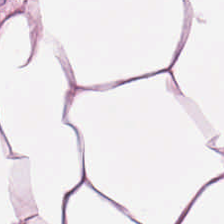H&E stain. Tissue type: adipose tissue.
